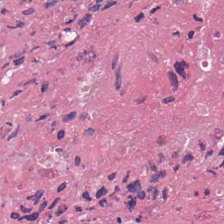FFPE tissue section; H&E-stained tissue section — Q: What type of tissue is this?
A: This is cellular debris.
